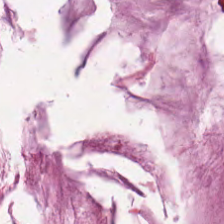Hematoxylin-and-eosin stained section. The tissue is mucus.
